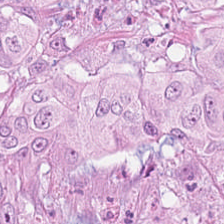The predominant tissue is adenocarcinoma.
